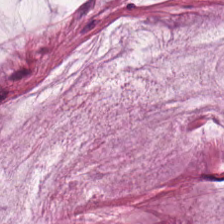WSI patch; hematoxylin-and-eosin stained section; 0.5 microns per pixel — Impression — mucus.
